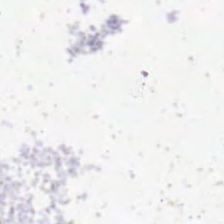Brightfield · H&E stain.
Q: Classify this patch.
A: The field shows no tissue.
